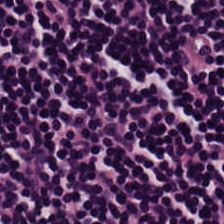Stain: H&E.
Resolution: 20× equivalent magnification.
Tissue type: lymphocytic infiltrate.
